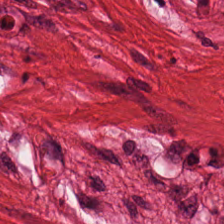Hematoxylin and eosin — Showing muscularis.
